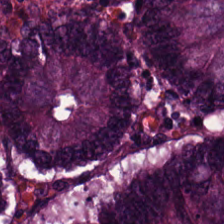Hematoxylin-and-eosin stained section; whole-slide-image patch. Q: What tissue is shown?
A: The field shows adenocarcinoma.
